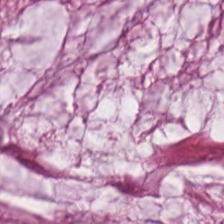0.5 µm per pixel. Hematoxylin and eosin. This field is mucus.
